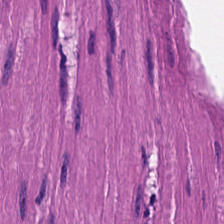Whole-slide-image patch · hematoxylin-and-eosin stained section — Predominantly smooth muscle.
